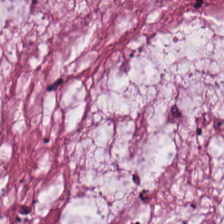WSI patch. H&E stain — Predominantly extracellular mucin.
